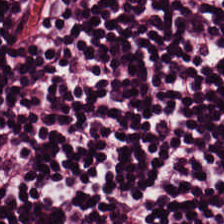Classification: lymphocyte aggregate.
